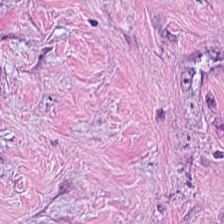Stain: hematoxylin-and-eosin stained section.
Tissue class: tumor-associated stroma.
